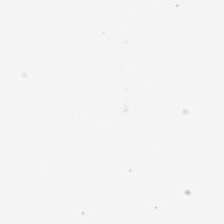Stain: H&E-stained tissue section.
Acquisition: whole-slide-image patch.
Classification: no tissue.
